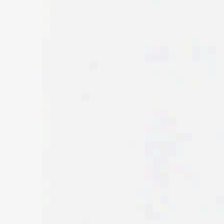H&E stain.
This patch shows no tissue.
